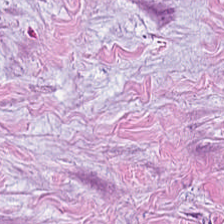20× equivalent magnification; WSI patch; H&E stain. The tissue here is cancer-associated stroma.
